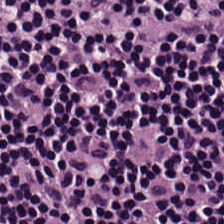Q: What does this patch show?
A: Lymphoid infiltrate.
